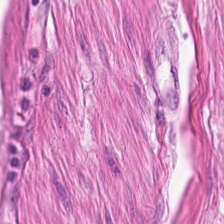H&E-stained tissue section — Tissue type: smooth muscle.
